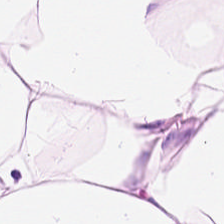WSI patch · H&E — The predominant tissue is fat tissue.
